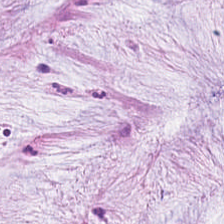H&E-stained tissue section; 224×224 pixel tile. Q: What does this patch show?
A: The field shows mucus.
